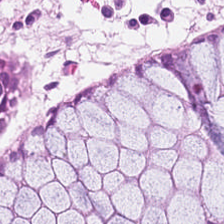The tissue is normal colonic mucosa.
